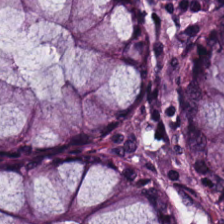H&E-stained tissue section. Q: Classify this patch.
A: It is normal colonic mucosa.
